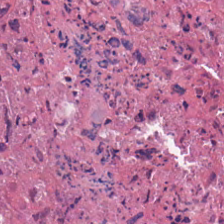Tissue type — cellular debris.
